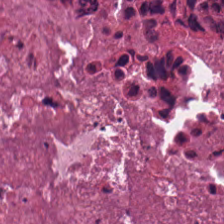H&E-stained tissue section; formalin-fixed paraffin-embedded section.
The predominant tissue is necrotic debris.
